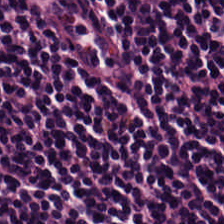Formalin-fixed paraffin-embedded section; H&E-stained tissue section; 224×224 px tile — Histology — lymphocyte aggregate.
